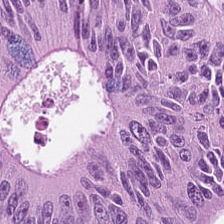H&E stain — Predominant tissue — malignant epithelium.
